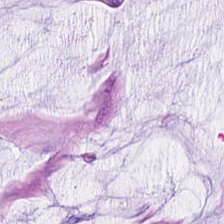H&E.
The tissue class is mucin.
